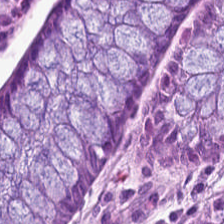Tissue: non-neoplastic colon mucosa.
